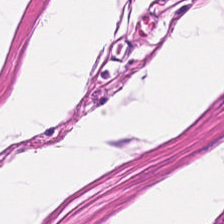0.5 µm per pixel; brightfield microscopy; hematoxylin and eosin — Predominant tissue: muscularis.
